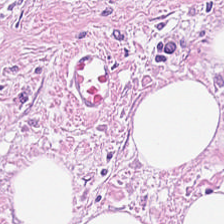Hematoxylin and eosin. Formalin-fixed paraffin-embedded section.
Predominant tissue — tumor stroma.
